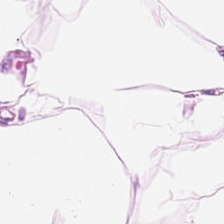Q: Identify the tissue.
A: It is fat tissue.
